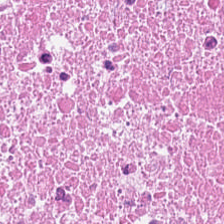Stain: H&E stain.
Classification: debris.
